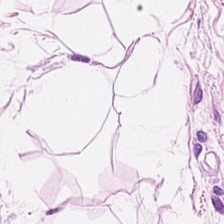0.5 µm/px · H&E stain. This patch shows adipocytes.
